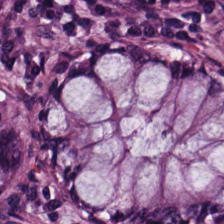H&E-stained tissue section; FFPE. This field is benign colonic mucosa.
